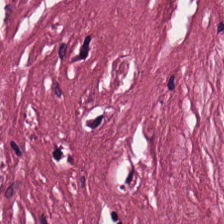Stain: hematoxylin and eosin.
Tissue class: tumor stroma.
